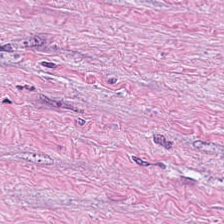H&E stain — Predominant tissue — desmoplastic stroma.
